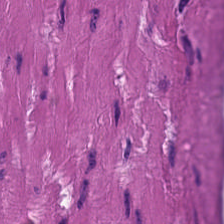FFPE; whole-slide-image patch; hematoxylin and eosin. Classification: muscularis.
